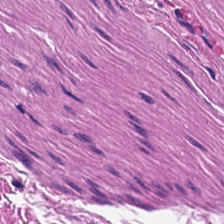H&E stain · 224×224 px tile · 0.5 µm per pixel.
Finding — muscularis.
